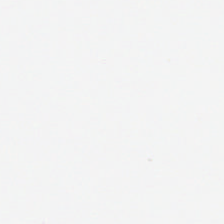Classification: background (no tissue).
